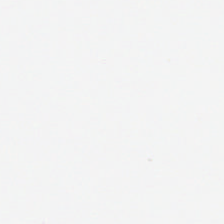Classification: background (no tissue).
